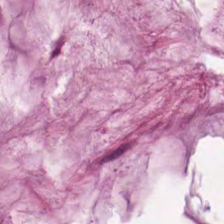H&E. Impression — mucus.
